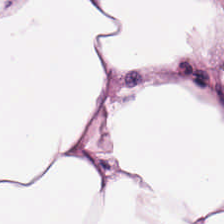H&E-stained tissue section; FFPE.
Impression — adipocytes.
